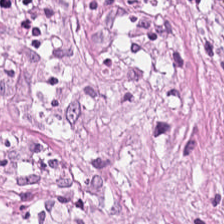H&E stain.
This patch shows cancer-associated stroma.
